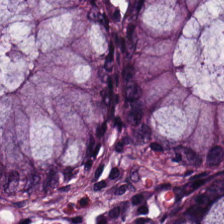20× equivalent magnification; hematoxylin and eosin; formalin-fixed paraffin-embedded section — Q: Classify this patch.
A: It is non-neoplastic colon mucosa.
